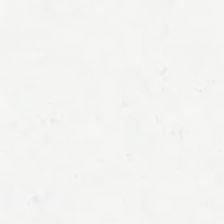224×224 pixel tile; H&E-stained tissue section.
Q: What is shown here?
A: The field shows background.
